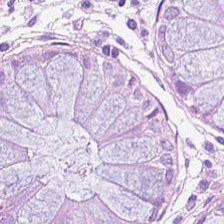The tissue here is non-neoplastic colon mucosa.
